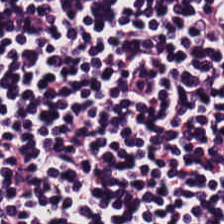Stain: H&E-stained tissue section.
Tissue class: lymphocyte aggregate.
